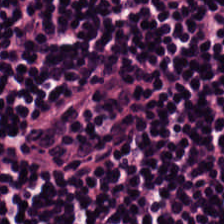Stain: H&E-stained tissue section.
Tile size: 224×224 px tile.
Resolution: 20× equivalent magnification.
Tissue: lymphocytic infiltrate.
